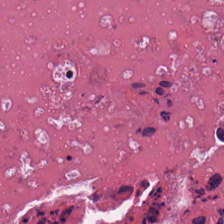WSI patch. H&E. This patch shows necrotic debris.
